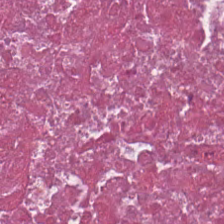Hematoxylin and eosin. Predominantly cellular debris.
